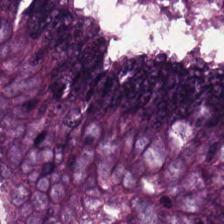Hematoxylin and eosin · whole-slide-image patch.
Showing adenocarcinoma.
